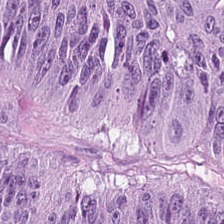Stain: hematoxylin and eosin.
Tissue type: adenocarcinoma.
